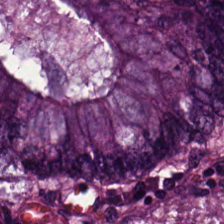Hematoxylin and eosin — Tissue class — tumor epithelium.
